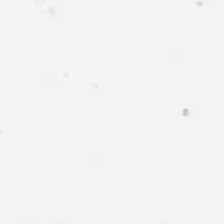Hematoxylin and eosin — Field content — background (no tissue).
